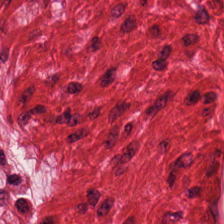H&E · formalin-fixed paraffin-embedded section · 0.5 microns per pixel — The predominant tissue is smooth muscle.
